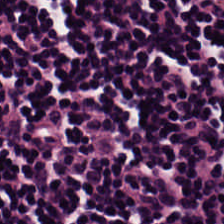Hematoxylin-and-eosin stained section — This field is lymphocyte aggregate.
